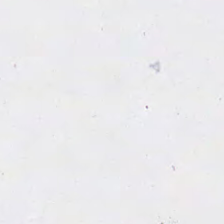0.5 µm/px · H&E stain · 224×224 pixel tile — Background — no tissue in this field.
